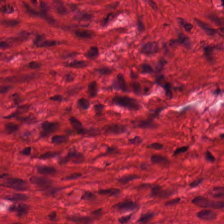H&E stain. Finding — muscularis.
